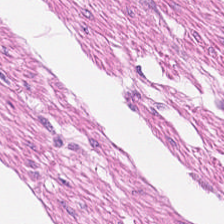WSI patch · H&E. This field is smooth-muscle tissue.
